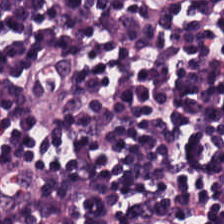Classification — lymphoid infiltrate.
